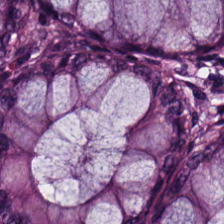Hematoxylin-and-eosin stained section.
Predominantly benign colonic mucosa.
